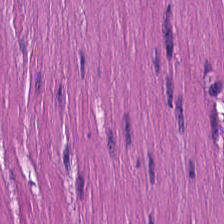H&E-stained tissue section — Predominant tissue: smooth-muscle tissue.
